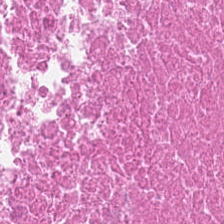Q: What tissue is shown?
A: It is cellular debris.
